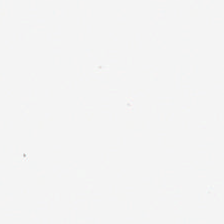Stain: H&E stain.
Acquisition: WSI patch.
Classification: empty background.
